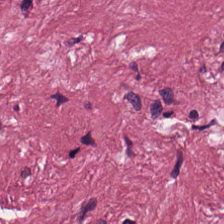{"tissue_type": "tumor-associated stroma"}
